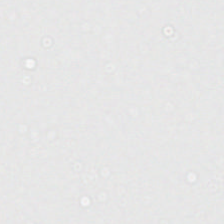Stain: H&E stain.
Preparation: FFPE.
Resolution: 0.5 µm per pixel.
Field content: no tissue.
